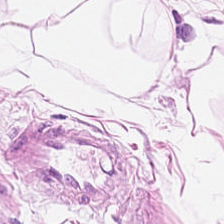H&E stain.
This patch shows adipocytes.
